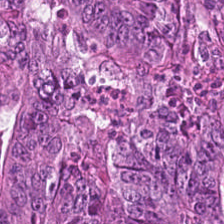Q: What is shown here?
A: The field shows adenocarcinoma.
